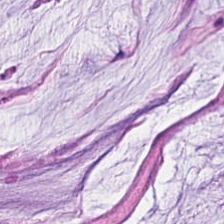Histology — extracellular mucin.
